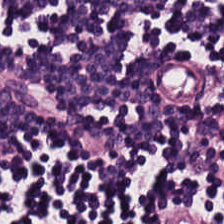FFPE tissue section. H&E stain — The tissue is lymphoid infiltrate.
